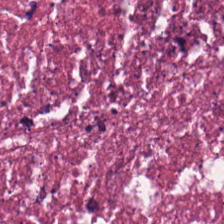H&E-stained tissue section; 0.5 microns per pixel. Histology → necrotic debris.
